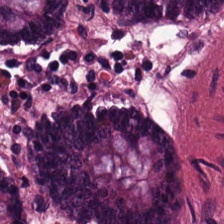Stain: H&E-stained tissue section.
Tissue class: benign colonic mucosa.
